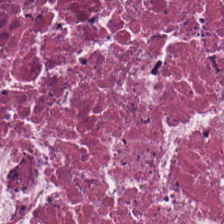H&E.
{"tissue_type": "necrotic debris"}
